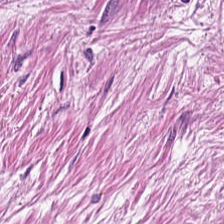Q: What does this patch show?
A: It is desmoplastic stroma.
